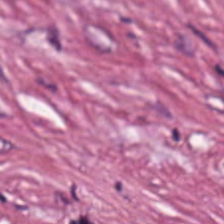FFPE tissue section; H&E stain; 0.5 µm/px — The predominant tissue is tumor stroma.
